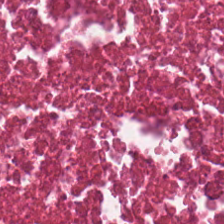H&E-stained tissue section · 0.5 microns per pixel. Q: What does this patch show?
A: The field shows debris.
